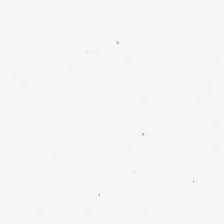H&E stain.
This patch shows no tissue.
